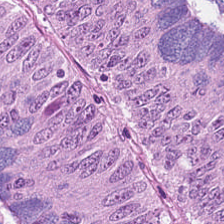Classification = adenocarcinoma.
